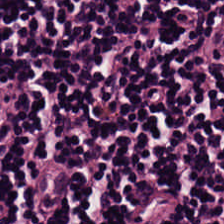The tissue class is lymphocyte aggregate.
